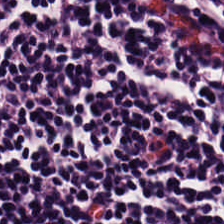Finding — lymphocytes.
